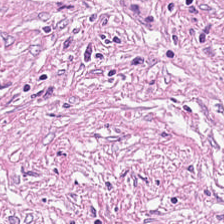224×224 pixel tile · WSI patch · H&E.
This field is tumor-associated stroma.
